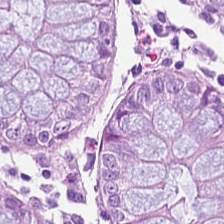H&E-stained tissue section.
{"tissue_type": "non-neoplastic colon mucosa"}
